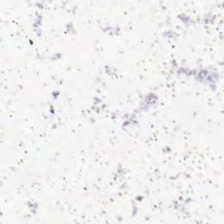FFPE tissue section. Hematoxylin and eosin.
Content = empty background.
